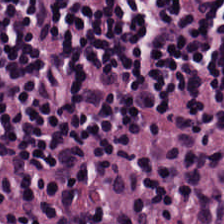224×224 pixel tile. H&E.
Predominant tissue: lymphocytic infiltrate.
